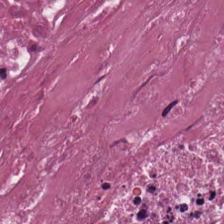H&E; 0.5 microns per pixel; whole-slide-image patch. The predominant tissue is necrotic debris.
